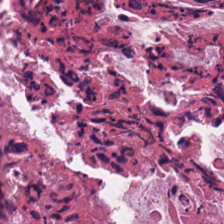H&E-stained section; the field shows debris.
